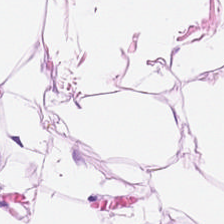H&E. Q: Identify the tissue.
A: This is adipocytes.
